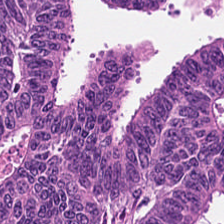This patch shows malignant epithelium.
